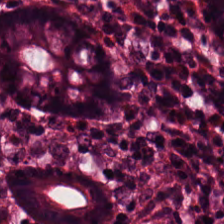Tissue: benign colonic mucosa.
